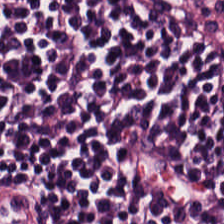224×224 pixel tile; 0.5 microns per pixel; H&E-stained tissue section — Histology → lymphocytes.
